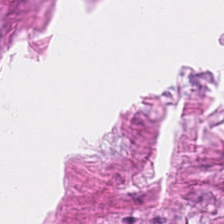Hematoxylin and eosin · 224×224 pixel tile — Q: Classify this patch.
A: This is cancer-associated stroma.
